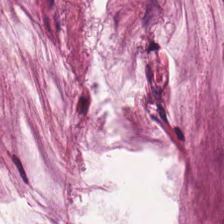Hematoxylin and eosin.
Tissue type = mucin.
